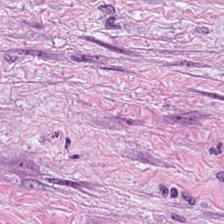H&E stain. Tissue: tumor stroma.
